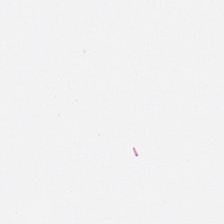Stain: hematoxylin and eosin.
Classification: background (no tissue).
